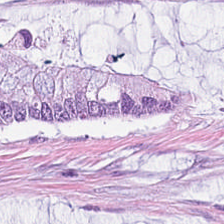0.5 microns per pixel; H&E.
Finding — extracellular mucin.
